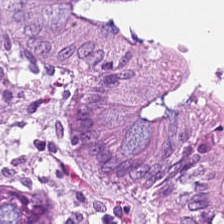224×224 pixel tile; H&E stain.
The tissue class is normal colon mucosa.
